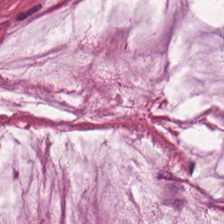Hematoxylin and eosin. 224×224 pixel tile. 0.5 microns per pixel. Tissue class — mucus.
